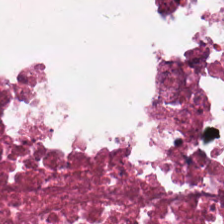FFPE tissue section; H&E-stained tissue section — Q: What type of tissue is this?
A: This is debris.
